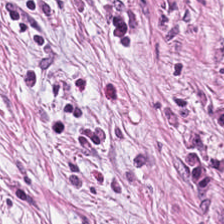Formalin-fixed paraffin-embedded section · hematoxylin-and-eosin stained section. Tissue class = tumor stroma.
